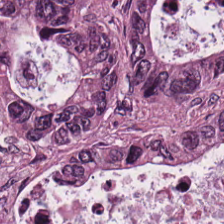Classification: tumor epithelium.
